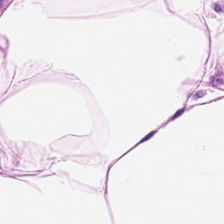Classification = adipose.
